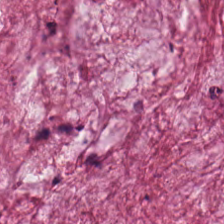Hematoxylin and eosin. The predominant tissue is mucin.
